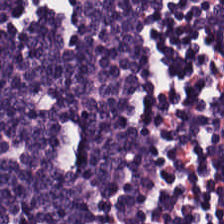FFPE tissue section; hematoxylin-and-eosin stained section; 224×224 px tile — Predominant tissue: lymphocytic infiltrate.
